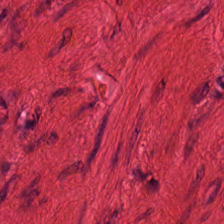H&E · 0.5 µm/px. Predominant tissue: smooth muscle.
